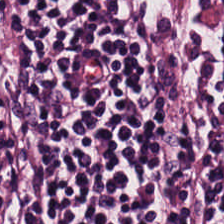H&E-stained tissue section showing lymphocytic infiltrate.
